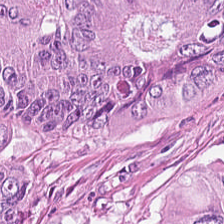Hematoxylin-and-eosin stained section — Q: What type of tissue is this?
A: The field shows tumor epithelium.
